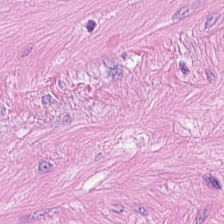Hematoxylin-and-eosin stained section. WSI patch. 20× equivalent magnification. Predominantly muscularis.
